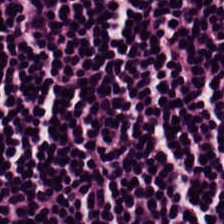Brightfield · 0.5 µm/px · H&E.
Predominantly lymphocytic infiltrate.
